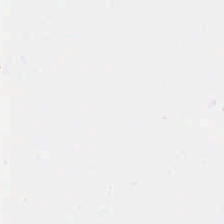FFPE tissue section. H&E stain.
This patch shows background.
